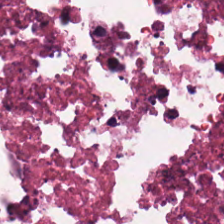H&E stain. Predominant tissue = debris.
